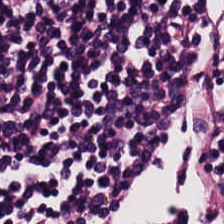H&E-stained tissue section — This patch shows lymphocytes.
